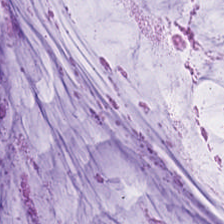H&E-stained tissue section. Tissue: mucus.
